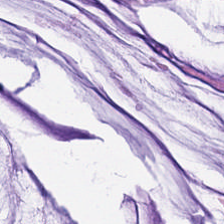H&E.
Showing mucin.
